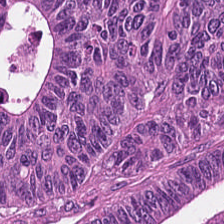0.5 microns per pixel. H&E. 224×224 pixel tile. Predominant tissue = adenocarcinoma.
